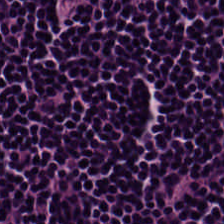224×224 px tile · 0.5 microns per pixel · H&E — Predominant tissue — lymphocyte aggregate.
